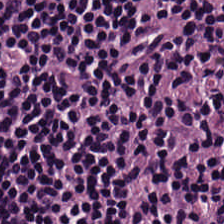Hematoxylin and eosin. 0.5 µm/px. 224×224 px tile.
This field is lymphocyte aggregate.
